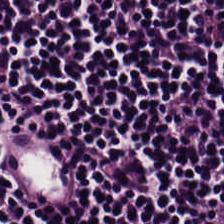0.5 microns per pixel; H&E.
Q: Classify this patch.
A: The field shows lymphocytic infiltrate.
